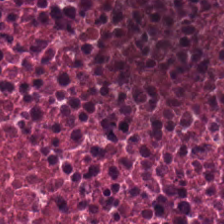Hematoxylin-and-eosin stained section. 224×224 px patch.
The predominant tissue is cellular debris.
